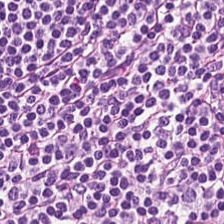Stain: H&E.
Acquisition: brightfield.
Tile size: 224×224 px patch.
Tissue class: lymphocyte aggregate.
